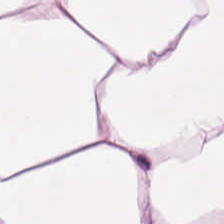H&E stain; brightfield microscopy. Q: What is shown here?
A: The field shows adipose tissue.
